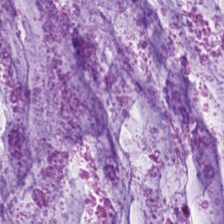Hematoxylin-and-eosin stained section.
Tissue: extracellular mucin.
